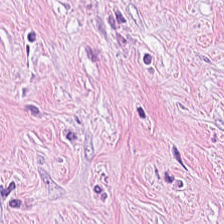Hematoxylin and eosin. WSI patch. The predominant tissue is tumor stroma.
